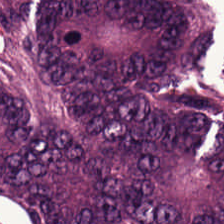H&E-stained tissue section — Predominantly adenocarcinoma.
